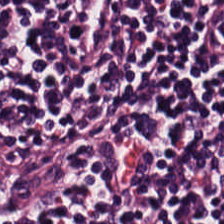Stain: H&E stain.
Tissue class: lymphocytic infiltrate.
